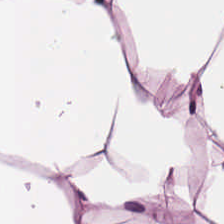Classification — fat tissue.
